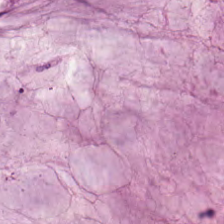Tissue type = extracellular mucin.
